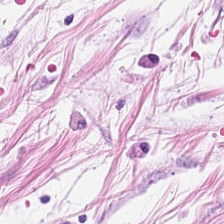H&E stain. The classification is adipocytes.
